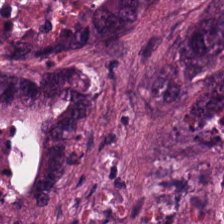H&E. Malignant epithelium.
